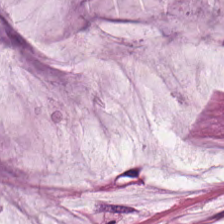Brightfield microscopy · H&E stain — Tissue type: mucin.
